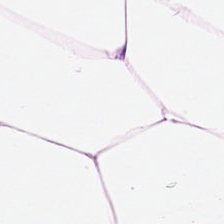224×224 px patch; H&E-stained tissue section.
Q: What is shown in this field?
A: It is adipocytes.
